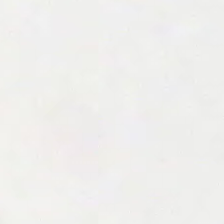Hematoxylin-and-eosin stained section. WSI patch. Q: What is shown here?
A: The field shows empty background.
